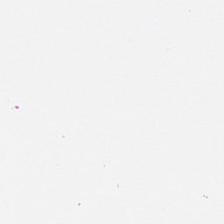Classification: empty background.
